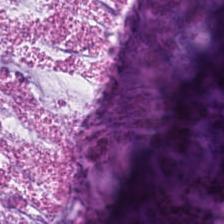H&E stain. 224×224 pixel tile.
Showing mucin.
